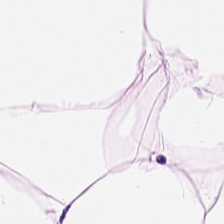Stain: H&E-stained tissue section.
Tissue: adipose tissue.
